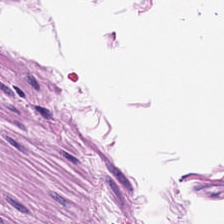Whole-slide-image patch; H&E — Q: What tissue type is shown here?
A: The field shows smooth muscle.
